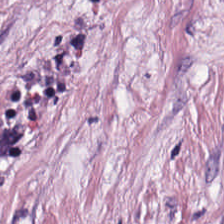20× equivalent magnification. Brightfield. Hematoxylin-and-eosin stained section — Q: What is the predominant tissue type?
A: The field shows cancer-associated stroma.
